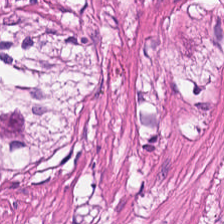Hematoxylin-and-eosin stained section. Classification — muscularis.
